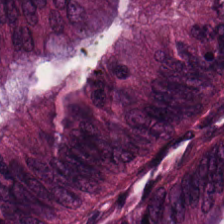Finding → colorectal adenocarcinoma epithelium.
